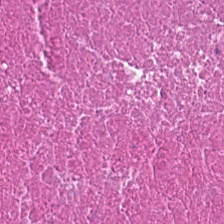0.5 µm per pixel · hematoxylin-and-eosin stained section · WSI patch. This field is cellular debris.
